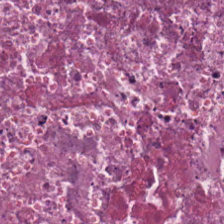H&E — This field is necrotic debris.
